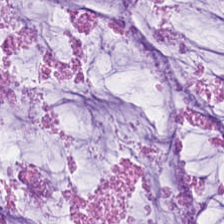0.5 microns per pixel. FFPE. Hematoxylin and eosin.
Histology → extracellular mucin.
